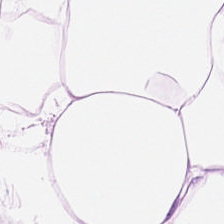Hematoxylin-and-eosin stained section. Predominant tissue = adipose tissue.
